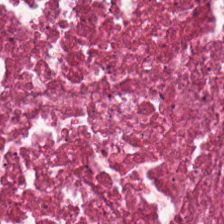The tissue here is cellular debris.
